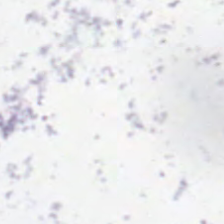0.5 µm per pixel. 224×224 px tile. H&E stain — Empty field — no tissue.
